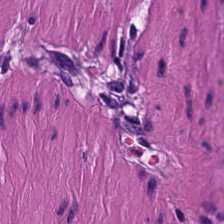Stain: H&E.
Tissue class: smooth muscle.
